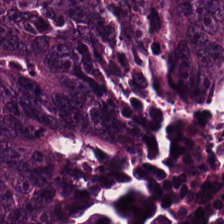The predominant tissue is tumor epithelium.
